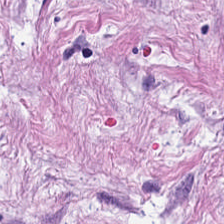Impression → tumor stroma.
